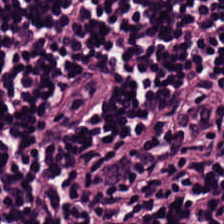FFPE tissue section · hematoxylin and eosin — This patch shows lymphoid infiltrate.
